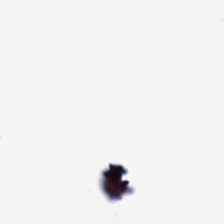Hematoxylin-and-eosin stained section. Impression — background (no tissue).
